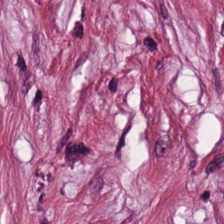Stain: hematoxylin-and-eosin stained section.
Preparation: FFPE tissue section.
Predominant tissue: tumor-associated stroma.
